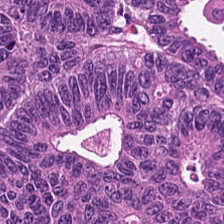Malignant epithelium.
